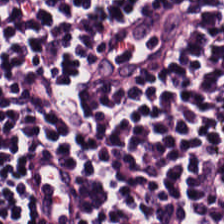Hematoxylin and eosin — Finding → lymphocyte aggregate.
